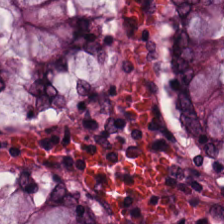Stain: H&E stain.
Tissue class: non-neoplastic colon mucosa.
